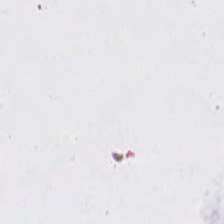Stain: H&E-stained tissue section.
Resolution: 0.5 microns per pixel.
Classification: background (no tissue).
